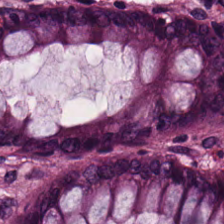Q: Identify the tissue.
A: This is normal colonic mucosa.
